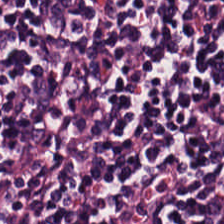Hematoxylin-and-eosin stained section — Histology — lymphocytic infiltrate.
